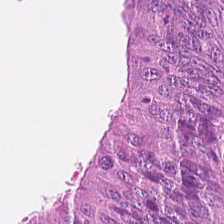H&E stain — The tissue here is tumor epithelium.
